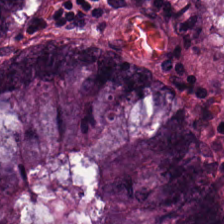Hematoxylin and eosin — Colorectal adenocarcinoma.
